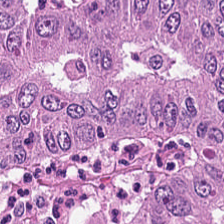Stain: H&E stain.
Predominant tissue: adenocarcinoma.
